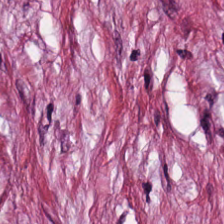Q: What does this patch show?
A: It is tumor stroma.
